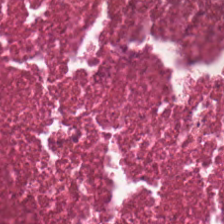Whole-slide-image patch · hematoxylin and eosin · FFPE — Predominantly necrotic debris.
